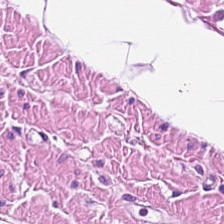Brightfield; hematoxylin and eosin.
Tissue class — muscularis.
